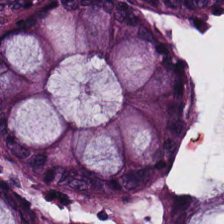Stain: hematoxylin and eosin.
Tile size: 224×224 px tile.
Tissue: non-neoplastic colon mucosa.
